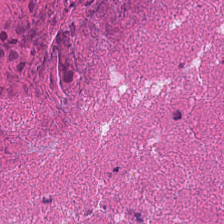Brightfield microscopy. H&E-stained tissue section. Showing cellular debris.
